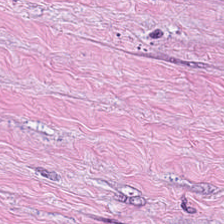H&E.
The tissue here is tumor stroma.
